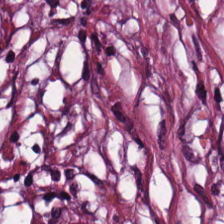224×224 pixel tile; hematoxylin and eosin — This field is tumor-associated stroma.
